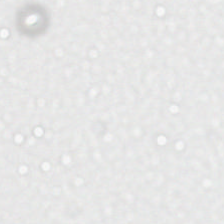H&E stain — The classification is empty background.
